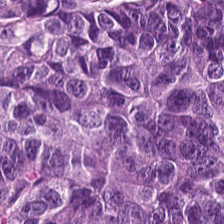The tissue here is tumor epithelium.
